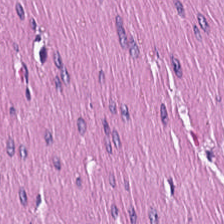The tissue is smooth-muscle tissue.
